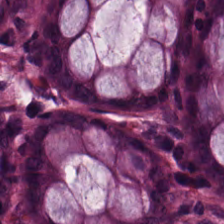Tissue class — benign colonic mucosa.
